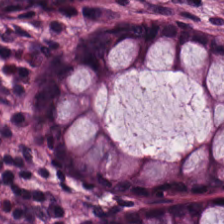{"tissue_type": "benign colonic mucosa"}
